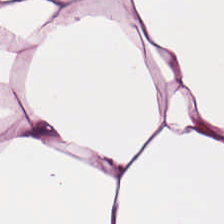H&E stain — The classification is adipocytes.
